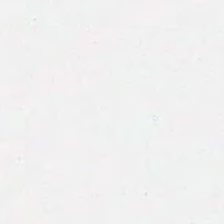FFPE tissue section · hematoxylin and eosin.
Empty background.
